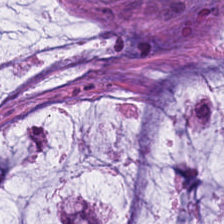H&E.
Q: Identify the tissue.
A: This is mucus.
